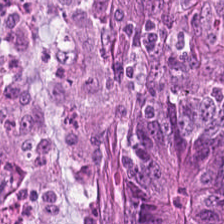H&E; 224×224 pixel tile — This field is adenocarcinoma.
